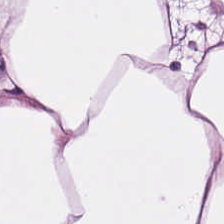0.5 µm/px; H&E stain — Q: What is the predominant tissue type?
A: This is adipose tissue.
